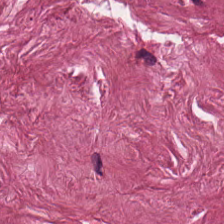Hematoxylin-and-eosin stained section. The tissue class is tumor-associated stroma.
